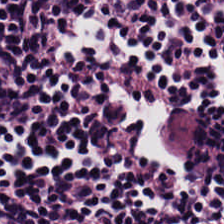Showing lymphocyte aggregate.
